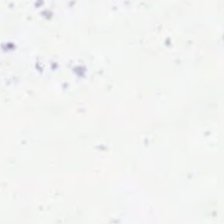Hematoxylin and eosin; brightfield.
Background — no tissue in this field.
